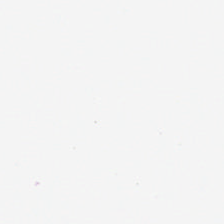Hematoxylin-and-eosin stained section. 0.5 microns per pixel. The content is no tissue.
